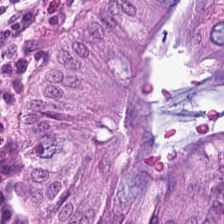H&E — Predominantly normal colon mucosa.
